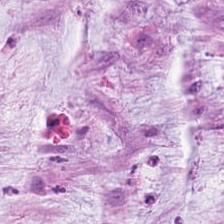H&E stain.
The classification is mucus.
